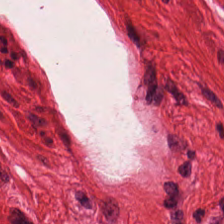H&E-stained tissue section — The predominant tissue is smooth-muscle tissue.
